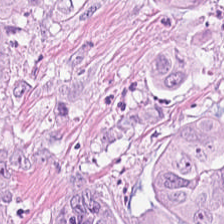H&E. Q: What is shown here?
A: The field shows colorectal adenocarcinoma epithelium.
